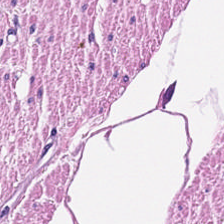Hematoxylin and eosin · 224×224 px patch · formalin-fixed paraffin-embedded section. Predominant tissue = smooth muscle.
